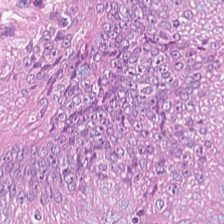H&E — Tissue class — tumor epithelium.
